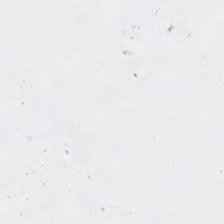H&E. 224×224 pixel tile. 0.5 microns per pixel.
Q: What is shown in this field?
A: This is background.
